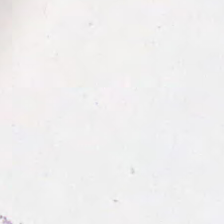H&E stain. 224×224 pixel tile — Empty field — background (no tissue).
